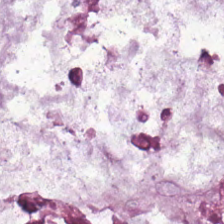Hematoxylin and eosin — Finding — extracellular mucin.
